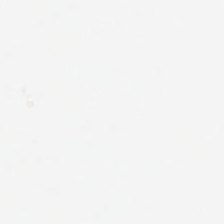Brightfield microscopy; hematoxylin and eosin; 224×224 pixel tile — Q: What is shown here?
A: The field shows background (no tissue).
